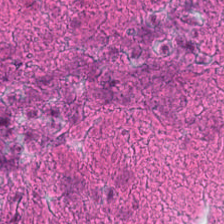Stain: H&E-stained tissue section.
Preparation: FFPE.
Resolution: 0.5 µm per pixel.
Tissue type: necrotic debris.
